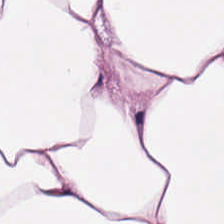Hematoxylin and eosin — Tissue type — adipocytes.
